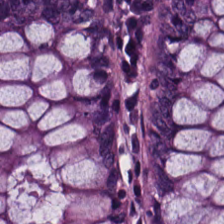Hematoxylin and eosin — This patch shows benign colonic mucosa.
